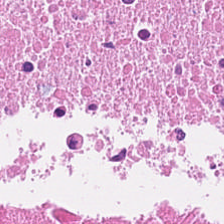Hematoxylin and eosin. WSI patch. Tissue class: necrotic debris.
